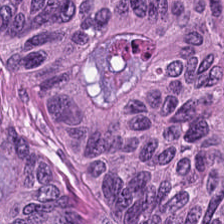Colorectal adenocarcinoma.
